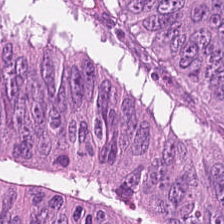FFPE tissue section · H&E. Predominantly colorectal adenocarcinoma epithelium.
